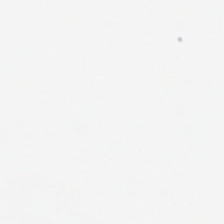H&E-stained tissue section.
No tissue present; background only.
